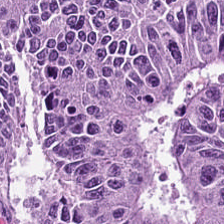Whole-slide-image patch; H&E-stained tissue section — Q: Classify this patch.
A: The field shows adenocarcinoma.
